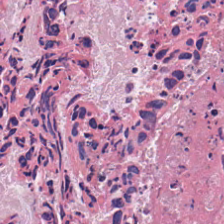{"tissue_type": "cellular debris"}
